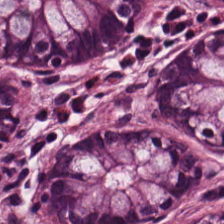0.5 µm per pixel · hematoxylin and eosin. Q: What tissue type is shown here?
A: Normal colon mucosa.
